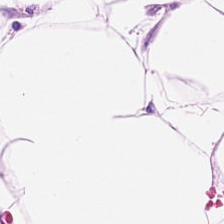224×224 pixel tile; hematoxylin-and-eosin stained section. Finding → adipose tissue.
